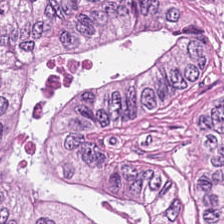H&E-stained section; the field shows colorectal adenocarcinoma epithelium.
